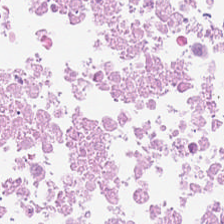Brightfield. 0.5 µm per pixel. H&E stain. The tissue here is cellular debris.
